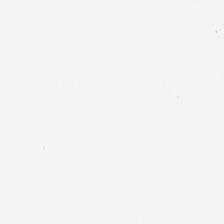H&E stain · 224×224 px tile — Background — no tissue in this field.
